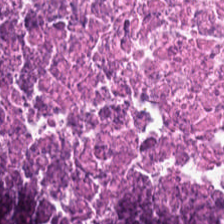H&E-stained tissue section. Tissue class = debris.
